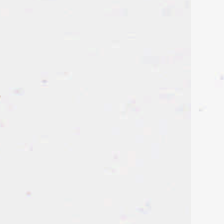H&E-stained tissue section. This field is background (no tissue).
